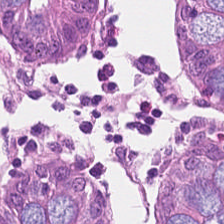Hematoxylin-and-eosin section: normal colonic mucosa.
